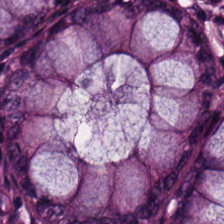H&E stain; brightfield; 0.5 µm/px — Tissue class — normal colon mucosa.
